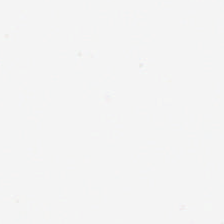Stain: H&E.
Acquisition: WSI patch.
Field content: no tissue.
